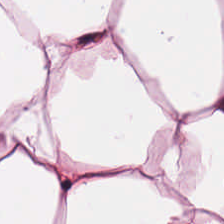Hematoxylin and eosin. Brightfield microscopy. 224×224 pixel tile.
Tissue class — adipocytes.
